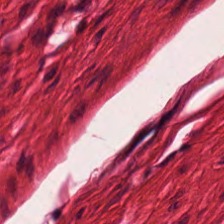WSI patch; 0.5 µm per pixel; H&E-stained tissue section. This field is muscularis.
